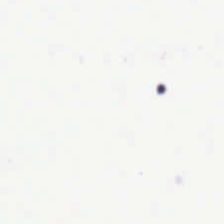H&E stain. 224×224 px tile. Classification — background.
